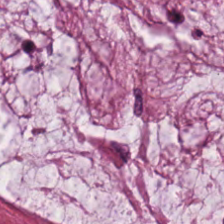The predominant tissue is extracellular mucin.
